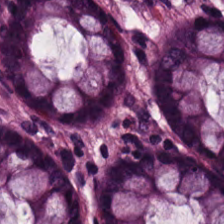Q: What tissue is shown?
A: This is normal colon mucosa.
